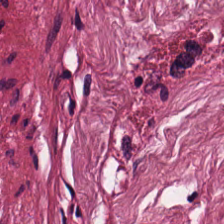H&E-stained tissue section · 20× equivalent magnification · FFPE — This field is cancer-associated stroma.
